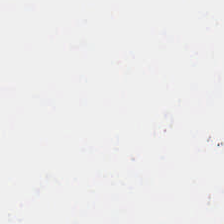Formalin-fixed paraffin-embedded section. Hematoxylin-and-eosin stained section. 224×224 px tile — Q: What is shown in this field?
A: Background (no tissue).
